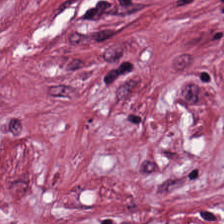H&E stain · brightfield. Q: Identify the tissue.
A: The field shows tumor stroma.
